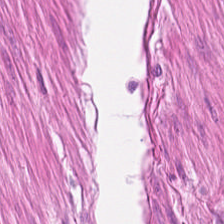Stain: hematoxylin-and-eosin stained section.
Tile size: 224×224 px patch.
Acquisition: WSI patch.
Tissue class: smooth-muscle tissue.
